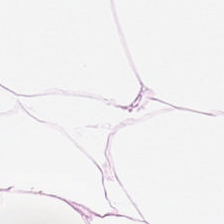H&E-stained tissue section.
Impression → adipose.
